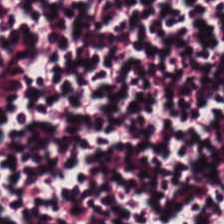H&E. Lymphocytes.
